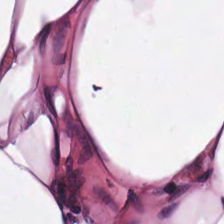Q: What does this patch show?
A: Fat tissue.
